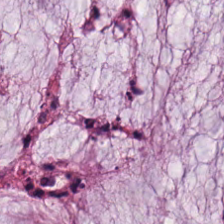The classification is mucin.
